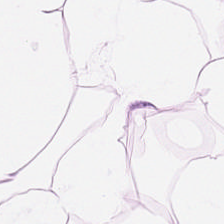H&E-stained tissue section; FFPE tissue section. Adipose tissue.
